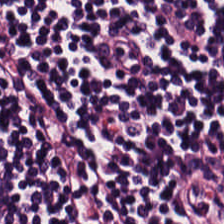WSI patch. 224×224 pixel tile. Hematoxylin and eosin. Predominant tissue: lymphocytes.
